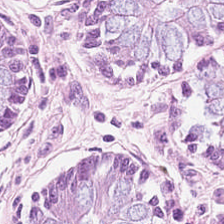20× equivalent magnification; FFPE; hematoxylin and eosin.
Showing normal colonic mucosa.
